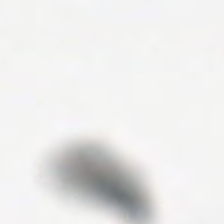Hematoxylin and eosin. {"content": "background"}
